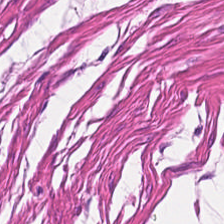H&E patch showing smooth-muscle tissue.
